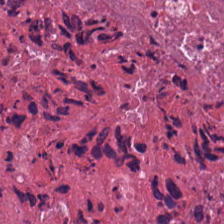H&E stain. Necrotic debris.
